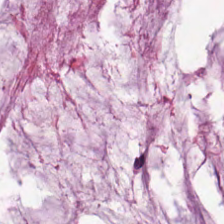Q: What does this patch show?
A: The field shows mucin.
